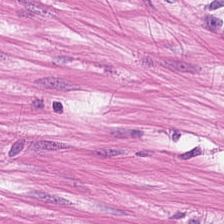Whole-slide-image patch · hematoxylin-and-eosin stained section. Smooth-muscle tissue.
